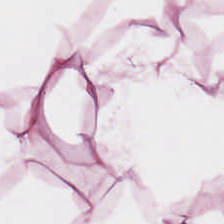0.5 µm per pixel. Hematoxylin and eosin. Q: Classify this patch.
A: It is adipose tissue.
